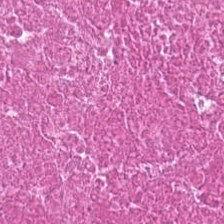H&E. The tissue is necrotic debris.
